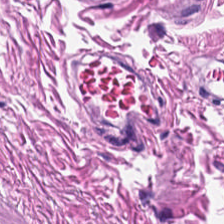H&E-stained tissue section. 20× equivalent magnification — {"tissue_type": "smooth-muscle tissue"}
